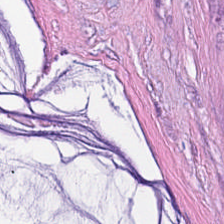Classification = extracellular mucin.
